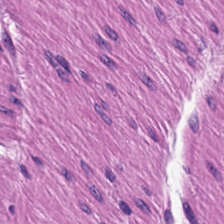H&E-stained tissue section — Predominant tissue: smooth muscle.
